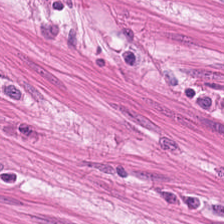H&E stain · brightfield microscopy · 0.5 µm/px — The tissue here is muscularis.
